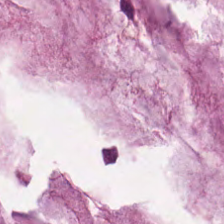Hematoxylin and eosin. Tissue — mucus.
